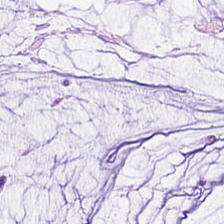Hematoxylin and eosin.
The classification is extracellular mucin.
